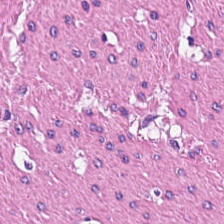Stain: hematoxylin-and-eosin stained section.
Tissue class: smooth-muscle tissue.
